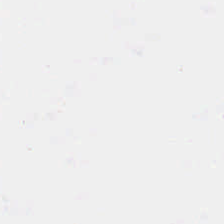Hematoxylin-and-eosin stained section. Classification — background.
